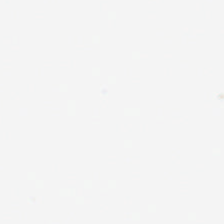Hematoxylin-and-eosin stained section. Impression — background.
